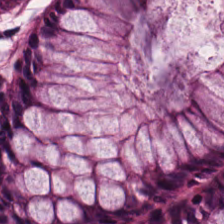The tissue here is non-neoplastic colon mucosa.
